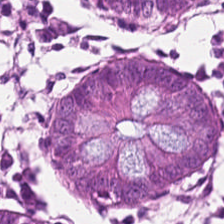Whole-slide-image patch; hematoxylin and eosin. Normal colon mucosa.
